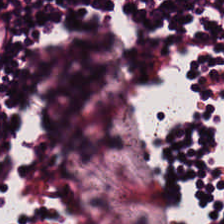H&E-stained tissue section. WSI patch.
Showing lymphoid infiltrate.
